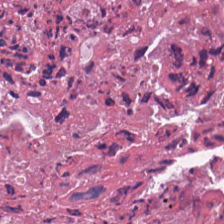Hematoxylin-and-eosin stained section — Debris.
